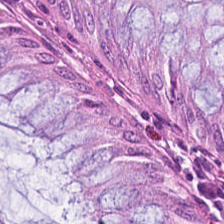Hematoxylin-and-eosin stained section; FFPE. {"tissue_type": "normal colon mucosa"}
